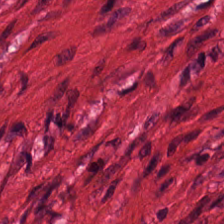H&E-stained tissue section.
Classification: smooth-muscle tissue.
